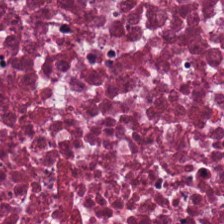H&E.
Tissue type = necrotic debris.
